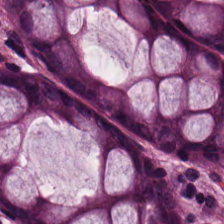H&E; FFPE tissue section. This patch shows non-neoplastic colon mucosa.
